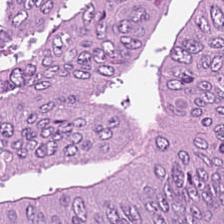H&E · FFPE · 224×224 px tile.
{"tissue_type": "tumor epithelium"}
